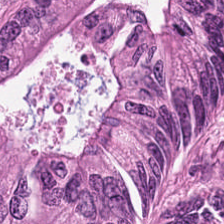Hematoxylin-and-eosin stained section · 224×224 pixel tile · 20× equivalent magnification. The tissue here is tumor epithelium.
